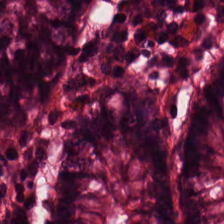H&E-stained tissue section.
The tissue is normal colon mucosa.
